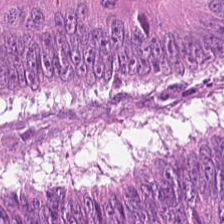H&E · 20× equivalent magnification · brightfield microscopy. This patch shows colorectal adenocarcinoma epithelium.
